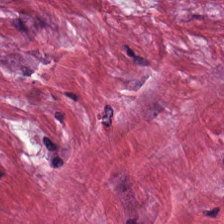Hematoxylin-and-eosin stained section — Tissue class = cancer-associated stroma.
